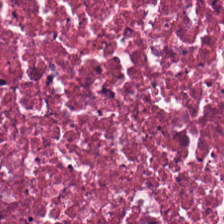Stain: hematoxylin-and-eosin stained section.
Preparation: formalin-fixed paraffin-embedded section.
Tissue type: cellular debris.
